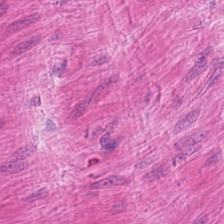WSI patch · H&E.
This field is smooth-muscle tissue.
